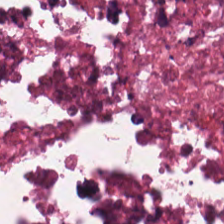Formalin-fixed paraffin-embedded section; hematoxylin and eosin. Tissue class: cellular debris.
